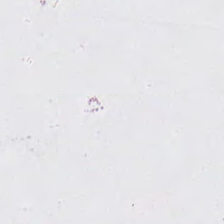Hematoxylin and eosin. Whole-slide-image patch.
Content — empty background.
